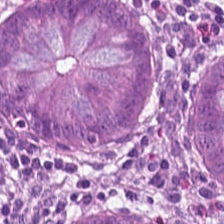H&E stain.
This field is normal colonic mucosa.
